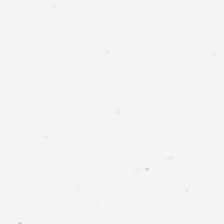20× equivalent magnification. Hematoxylin and eosin.
Q: What is shown here?
A: This is no tissue.
